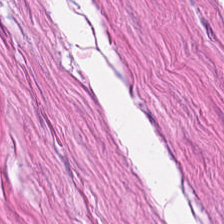0.5 µm per pixel · hematoxylin-and-eosin stained section — The tissue is smooth muscle.
